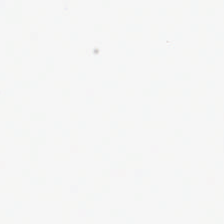H&E-stained tissue section; 0.5 microns per pixel. Q: What is shown in this field?
A: It is background.
